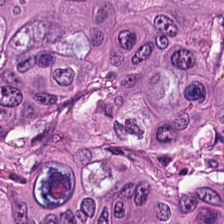Hematoxylin-and-eosin stained section.
Predominant tissue = colorectal adenocarcinoma epithelium.
